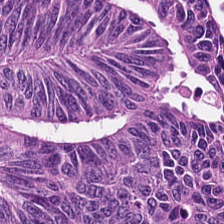Hematoxylin and eosin. {"tissue_type": "tumor epithelium"}
